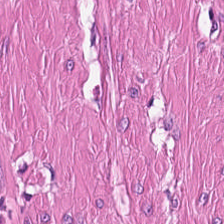Hematoxylin-and-eosin stained section.
Q: What tissue type is shown here?
A: Smooth-muscle tissue.
